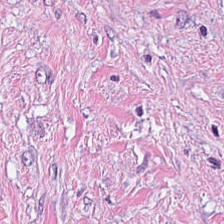Tissue type = tumor stroma.
